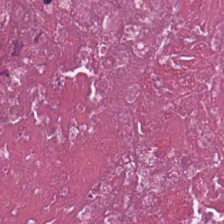Tissue class — cellular debris.
